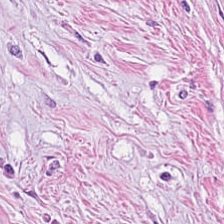H&E stain.
The tissue type is tumor stroma.
